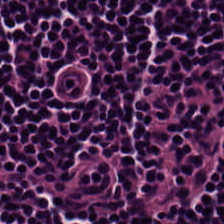Hematoxylin and eosin — Showing lymphocytic infiltrate.
